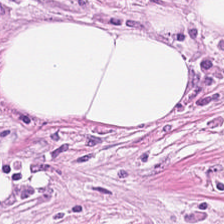H&E · brightfield microscopy · 0.5 microns per pixel. Finding — desmoplastic stroma.
